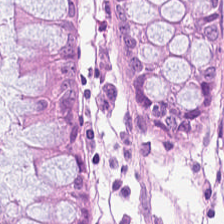Stain: hematoxylin-and-eosin stained section.
Preparation: FFPE.
Tissue class: normal colonic mucosa.
